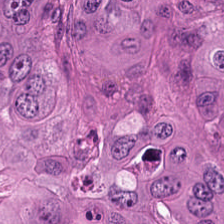Hematoxylin-and-eosin stained section; WSI patch. This patch shows colorectal adenocarcinoma epithelium.
